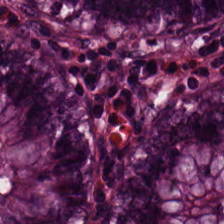Showing normal colon mucosa.
